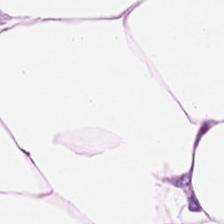H&E — fat tissue.
